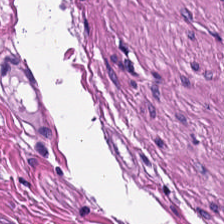FFPE tissue section; hematoxylin-and-eosin stained section. Q: What tissue is shown?
A: The field shows smooth muscle.
